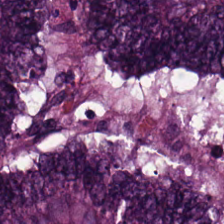H&E-stained tissue section. Adenocarcinoma.
